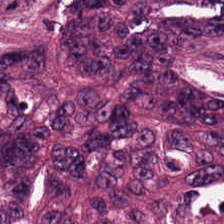224×224 px patch. H&E stain. Tissue class = colorectal adenocarcinoma epithelium.
